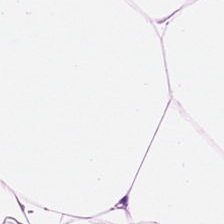Predominantly adipocytes.
